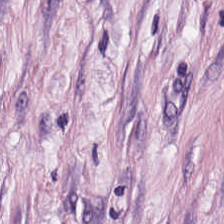Brightfield microscopy; hematoxylin and eosin; 20× equivalent magnification.
Showing tumor-associated stroma.
